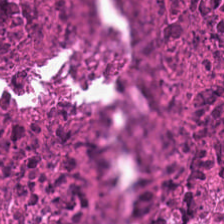This field is necrotic debris.
